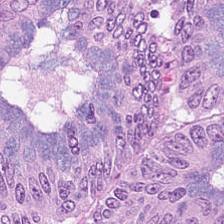H&E-stained tissue section showing adenocarcinoma.
